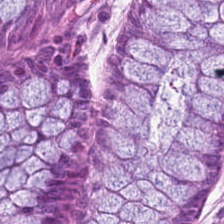Stain: H&E-stained tissue section.
Acquisition: brightfield.
Preparation: formalin-fixed paraffin-embedded section.
Predominant tissue: non-neoplastic colon mucosa.
